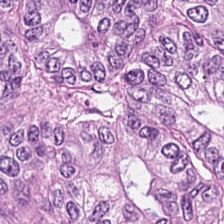H&E. Impression → colorectal adenocarcinoma epithelium.
